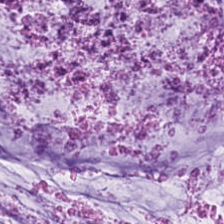H&E. WSI patch.
Showing extracellular mucin.
